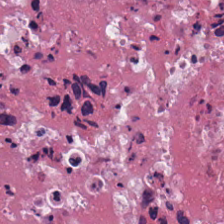Stain: H&E.
Tissue type: debris.
